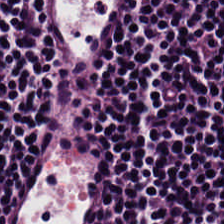H&E stain.
Lymphocytic infiltrate.
